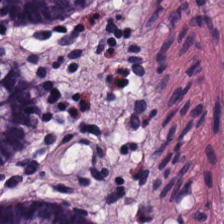H&E.
This patch shows benign colonic mucosa.
